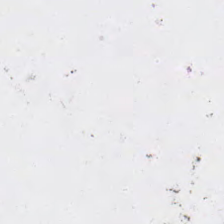H&E — Q: What is shown here?
A: Empty background.
